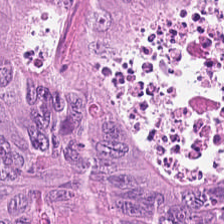H&E-stained tissue section showing tumor epithelium.
